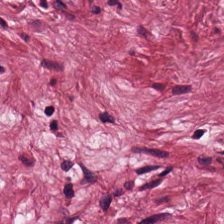0.5 µm per pixel · hematoxylin and eosin.
The predominant tissue is tumor stroma.
